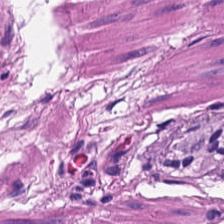H&E stain.
Finding — smooth muscle.
